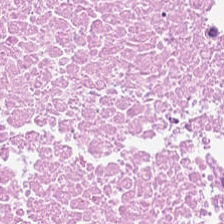Stain: H&E-stained tissue section.
Classification: debris.
